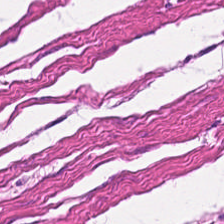Hematoxylin and eosin. 0.5 microns per pixel. 224×224 pixel tile.
Impression — smooth muscle.
